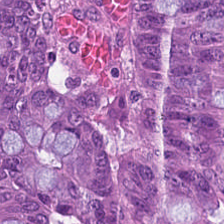H&E-stained tissue section · 224×224 pixel tile — Colorectal adenocarcinoma epithelium.
